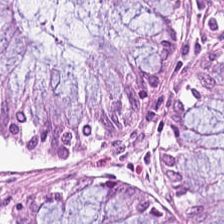This patch shows benign colonic mucosa.
